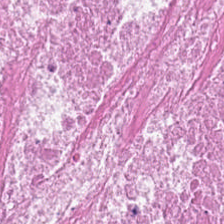H&E. 0.5 µm per pixel. FFPE — Q: What is shown in this field?
A: The field shows debris.
